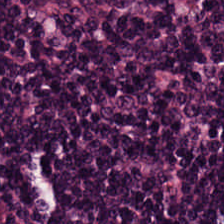Hematoxylin and eosin. {"tissue_type": "lymphoid infiltrate"}
